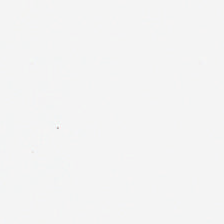H&E · whole-slide-image patch. This patch shows no tissue.
